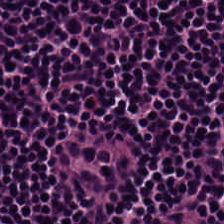H&E stain. This field is lymphocytic infiltrate.
